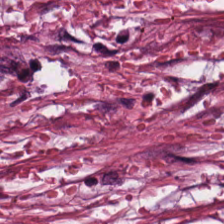Stain: H&E-stained tissue section.
Acquisition: brightfield.
Classification: tumor-associated stroma.
